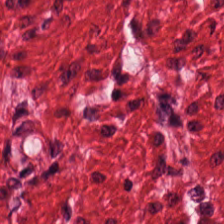0.5 µm/px; FFPE tissue section; H&E stain.
Showing smooth muscle.
